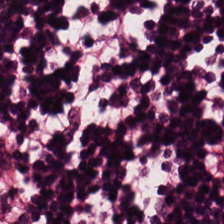224×224 pixel tile. Hematoxylin and eosin. FFPE — Histology → lymphocytes.
